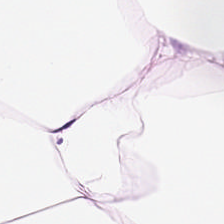H&E-stained tissue section — Predominantly adipose.
